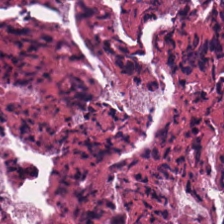Hematoxylin and eosin.
This patch shows debris.
